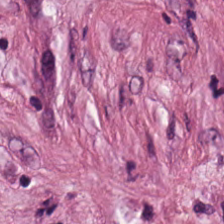Stain: H&E stain.
Tissue type: cancer-associated stroma.
